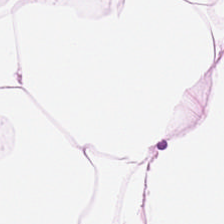Hematoxylin-and-eosin stained section — Q: What is the predominant tissue type?
A: It is adipose tissue.
